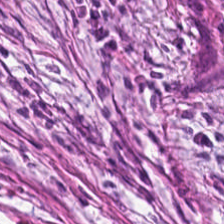224×224 pixel tile. FFPE. Hematoxylin and eosin. Q: Classify this patch.
A: It is tumor-associated stroma.
